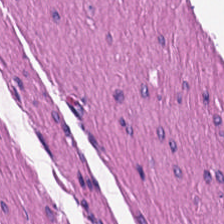FFPE tissue section. Brightfield. H&E-stained tissue section. Tissue type: smooth-muscle tissue.
